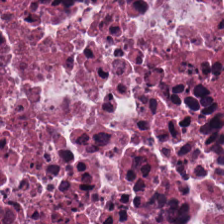Stain: H&E-stained tissue section.
Tissue type: debris.
